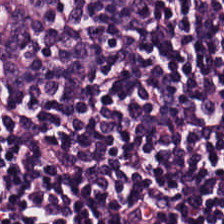H&E · 224×224 px patch · 20× equivalent magnification.
Q: What does this patch show?
A: This is lymphoid infiltrate.
